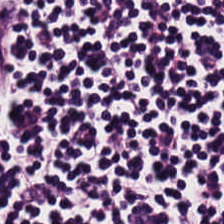H&E stain. 224×224 pixel tile — {"tissue_type": "lymphoid infiltrate"}
